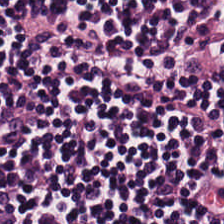Hematoxylin and eosin.
Q: What type of tissue is this?
A: Lymphocyte aggregate.
